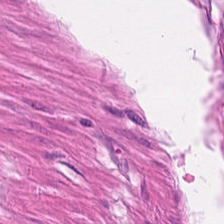Hematoxylin-and-eosin stained section · 224×224 pixel tile · 0.5 µm/px — The tissue here is smooth muscle.
